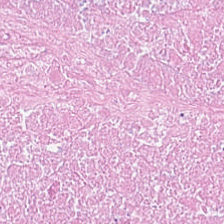Predominant tissue = necrotic debris.
